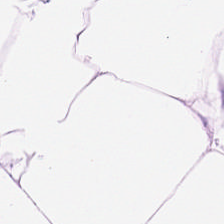Stain: H&E.
Acquisition: WSI patch.
Tile size: 224×224 px tile.
Tissue: fat tissue.
